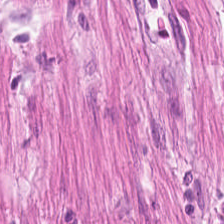0.5 µm/px · hematoxylin and eosin — Showing muscularis.
